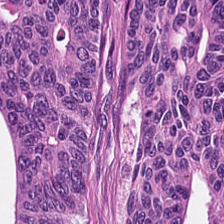H&E — Showing colorectal adenocarcinoma.
